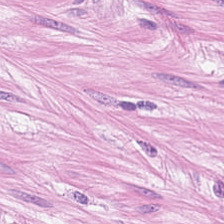Brightfield · 224×224 px tile · H&E stain. Predominant tissue = smooth muscle.
